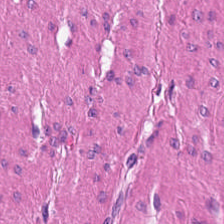Predominant tissue — smooth muscle.
